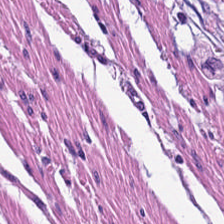Stain: hematoxylin and eosin.
Tile size: 224×224 px tile.
Classification: smooth-muscle tissue.
